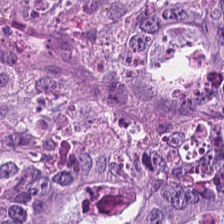Hematoxylin and eosin.
Tissue type = colorectal adenocarcinoma.
